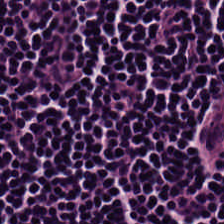H&E-stained tissue section. 20× equivalent magnification. FFPE tissue section — Finding → lymphoid infiltrate.
